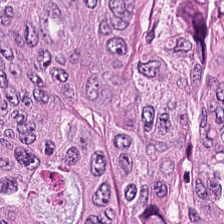Hematoxylin-and-eosin stained section.
Finding → colorectal adenocarcinoma epithelium.
